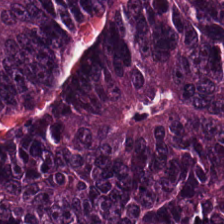H&E stain.
The classification is colorectal adenocarcinoma epithelium.
